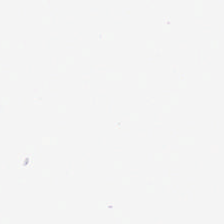H&E stain.
Content: background (no tissue).
